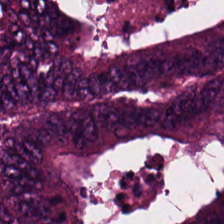{"tissue_type": "adenocarcinoma"}
